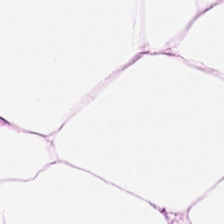H&E-stained tissue section — The tissue here is adipocytes.
